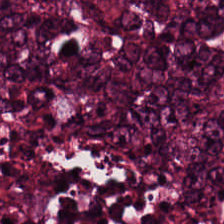H&E-stained tissue section — Histology → malignant epithelium.
